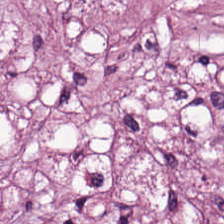224×224 px patch; H&E; whole-slide-image patch.
Tumor-associated stroma.
